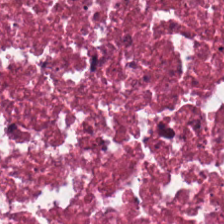Histology — debris.
